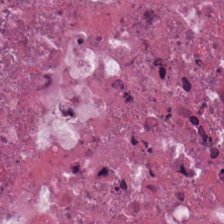Stain: hematoxylin-and-eosin stained section.
Tissue type: cellular debris.
